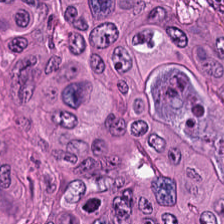20× equivalent magnification; H&E.
Q: What type of tissue is this?
A: It is adenocarcinoma.
